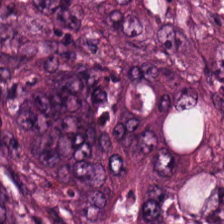H&E — The tissue class is colorectal adenocarcinoma.
